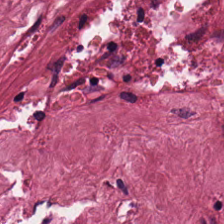H&E-stained tissue section. Q: Identify the tissue.
A: This is tumor-associated stroma.
